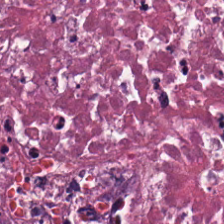H&E — The tissue here is debris.
